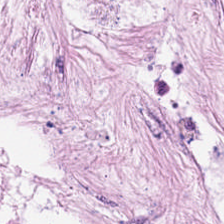Formalin-fixed paraffin-embedded section. H&E-stained tissue section.
The tissue here is tumor stroma.
